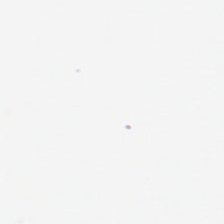H&E. Q: What is shown in this field?
A: It is empty background.
